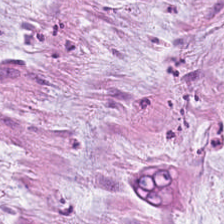H&E — Tissue class: mucin.
